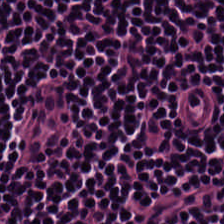Hematoxylin-and-eosin stained section. Q: What type of tissue is this?
A: The field shows lymphocytes.
